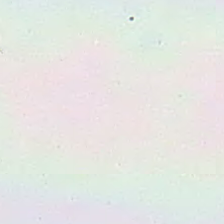Background.
